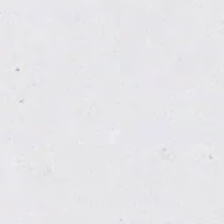H&E — This patch shows empty background.
